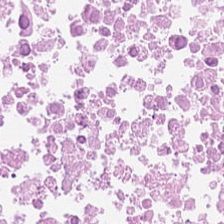Hematoxylin and eosin.
Tissue type = debris.
